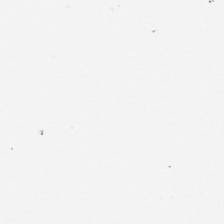Hematoxylin-and-eosin stained section. Field content = background.
